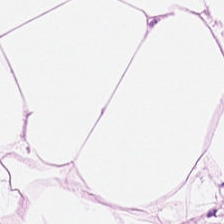Hematoxylin-and-eosin stained section. Tissue type: adipose tissue.
